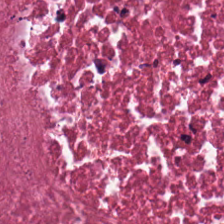H&E-stained tissue section — Predominant tissue = debris.
